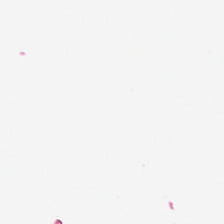This field is background (no tissue).
